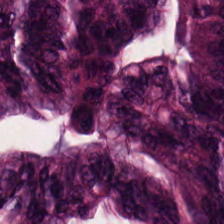Histology — malignant epithelium.
